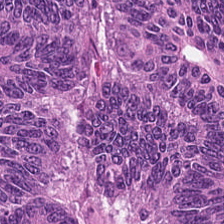Hematoxylin-and-eosin stained section. FFPE. Classification = adenocarcinoma.
